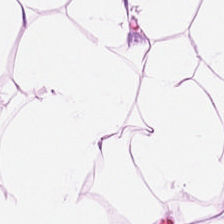Hematoxylin-and-eosin stained section.
Showing adipose tissue.
